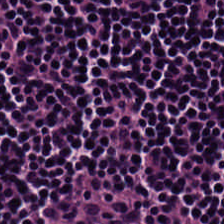H&E · whole-slide-image patch. Finding — lymphocytes.
